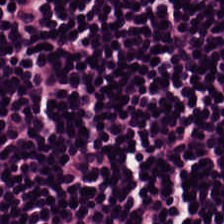Q: What tissue type is shown here?
A: Lymphocyte aggregate.
